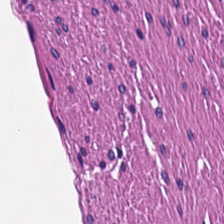H&E-stained tissue section showing smooth muscle.
